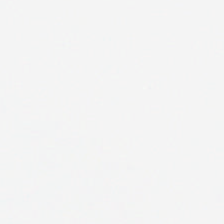This patch shows background (no tissue).
